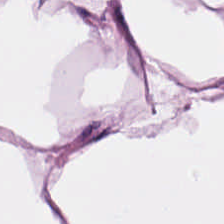WSI patch. H&E. 20× equivalent magnification.
Predominant tissue: adipose.
